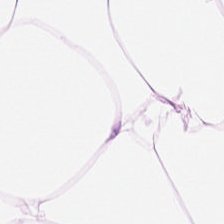H&E-stained tissue section. This field is adipose.
